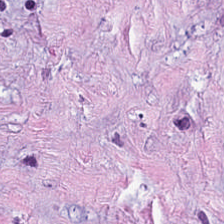Hematoxylin-and-eosin stained section.
This patch shows desmoplastic stroma.
